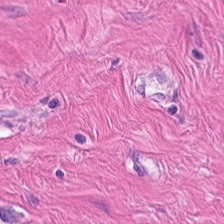Stain: hematoxylin and eosin.
Tissue type: smooth-muscle tissue.
